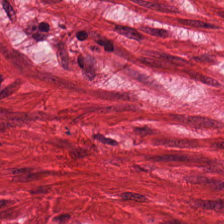Tissue class: smooth-muscle tissue.
